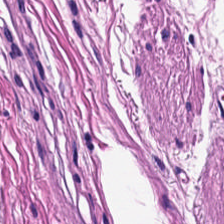Stain: H&E-stained tissue section.
Acquisition: brightfield microscopy.
Preparation: formalin-fixed paraffin-embedded section.
Tissue class: smooth muscle.
